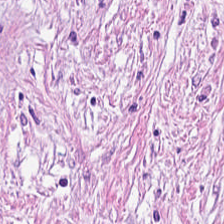0.5 µm/px; H&E; 224×224 px patch. Classification — desmoplastic stroma.
